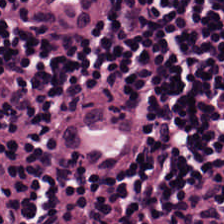Hematoxylin-and-eosin stained section. The tissue here is lymphoid infiltrate.
